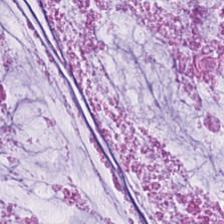H&E — extracellular mucin.
